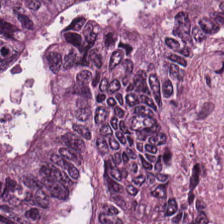Hematoxylin and eosin; 224×224 pixel tile.
Q: Classify this patch.
A: Colorectal adenocarcinoma.
